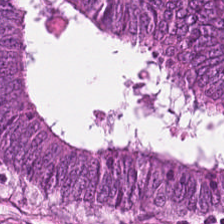Q: What tissue is shown?
A: It is malignant epithelium.
